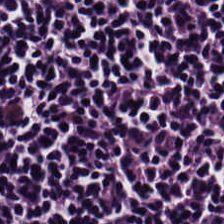224×224 px patch. Hematoxylin and eosin — Predominant tissue: lymphocytic infiltrate.
